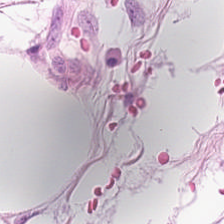H&E. 0.5 microns per pixel. The tissue here is adipose.
